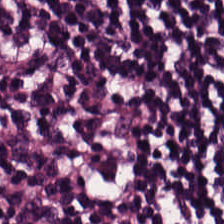H&E stain · 0.5 microns per pixel.
The tissue here is lymphocyte aggregate.
